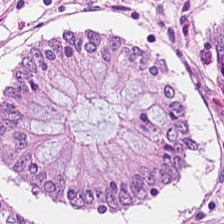H&E stain. 0.5 microns per pixel — Showing benign colonic mucosa.
